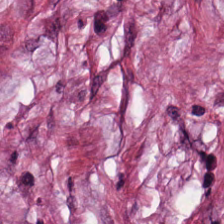Hematoxylin-and-eosin stained section. 224×224 pixel tile.
Q: What tissue is shown?
A: This is cancer-associated stroma.
